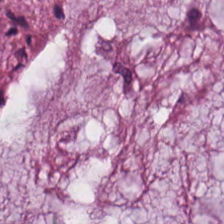H&E.
Tissue class = mucin.
